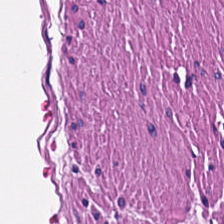Predominant tissue — smooth-muscle tissue.
